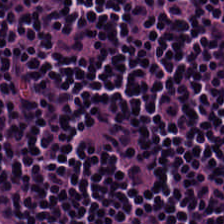FFPE; 224×224 px patch; hematoxylin and eosin.
The tissue class is lymphocytes.
